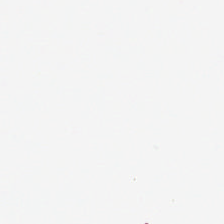H&E stain — Q: Classify this patch.
A: Empty background.
